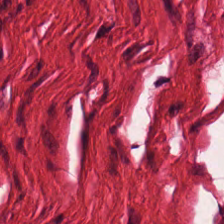H&E — Muscularis.
